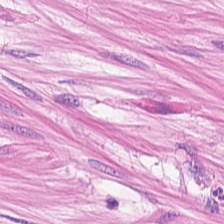H&E. Predominantly muscularis.
